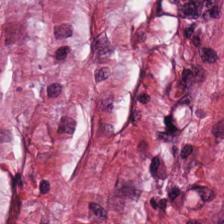Hematoxylin and eosin. Predominantly tumor stroma.
